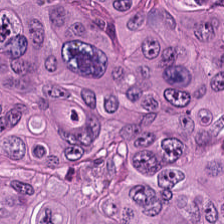20× equivalent magnification · hematoxylin-and-eosin stained section. Q: Identify the tissue.
A: The field shows colorectal adenocarcinoma.
